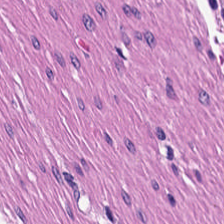H&E stain.
The classification is muscularis.
